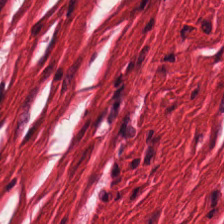Hematoxylin and eosin. Tissue — muscularis.
